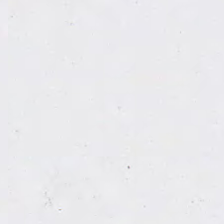This field is background (no tissue).
